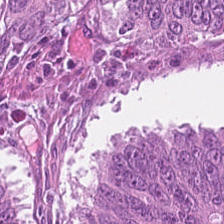Stain: hematoxylin-and-eosin stained section.
Tile size: 224×224 px patch.
Tissue class: colorectal adenocarcinoma.
